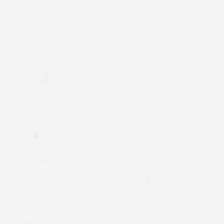Finding — no tissue.
